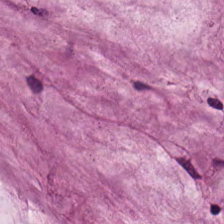Stain: hematoxylin-and-eosin stained section.
Tissue type: extracellular mucin.
